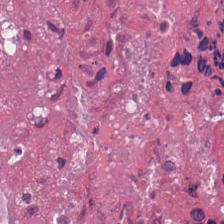H&E.
Histology — debris.
